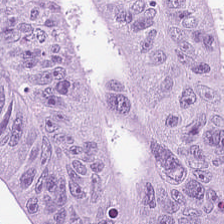Hematoxylin and eosin.
The tissue class is colorectal adenocarcinoma epithelium.
